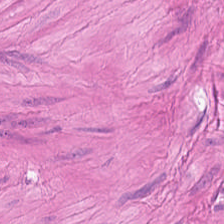Hematoxylin-and-eosin stained section; 20× equivalent magnification. The tissue class is smooth muscle.
